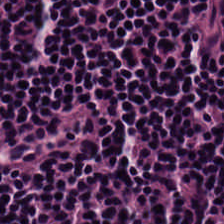Stain: hematoxylin-and-eosin stained section.
Tissue: lymphoid infiltrate.
